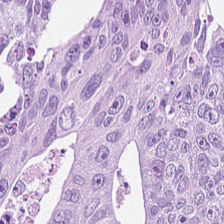Hematoxylin-and-eosin stained section. Q: What is the predominant tissue type?
A: It is colorectal adenocarcinoma epithelium.
